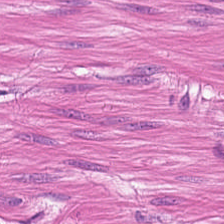H&E. Classification — smooth-muscle tissue.
